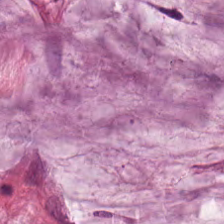Hematoxylin and eosin — Tissue type = mucin.
